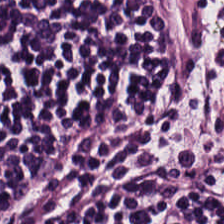Tissue type: lymphocytes.
